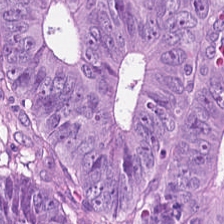Brightfield microscopy · H&E.
This patch shows colorectal adenocarcinoma epithelium.
